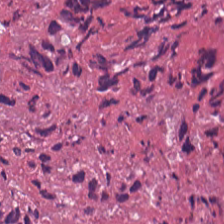20× equivalent magnification; hematoxylin-and-eosin stained section; 224×224 px tile — The tissue is necrotic debris.
